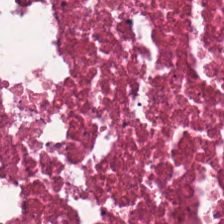Brightfield. 0.5 µm/px. H&E-stained tissue section — The predominant tissue is necrotic debris.
